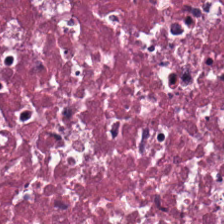H&E-stained tissue section. Showing cellular debris.
